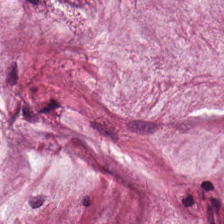WSI patch · H&E.
Tissue class — mucin.
